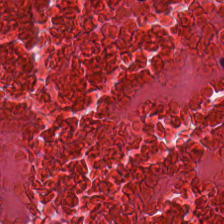The tissue here is cellular debris.
